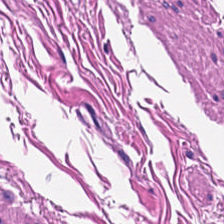Classification: smooth muscle.
